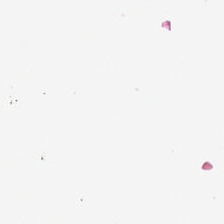FFPE · H&E — {"content": "empty background"}
